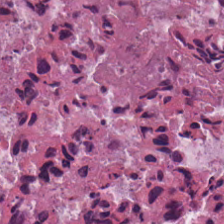Hematoxylin-and-eosin stained section. Brightfield.
This patch shows necrotic debris.
